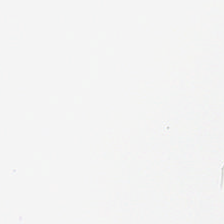Hematoxylin-and-eosin stained section.
The content is no tissue.
